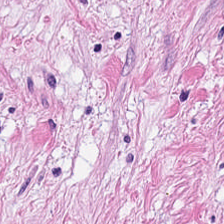Impression → cancer-associated stroma.
